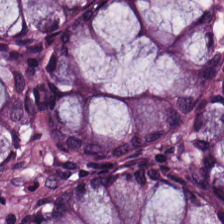0.5 µm/px · H&E-stained tissue section · FFPE. Tissue: benign colonic mucosa.
